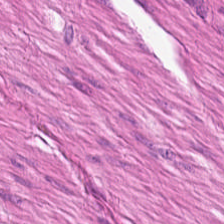Stain: hematoxylin-and-eosin stained section.
Predominant tissue: muscularis.
